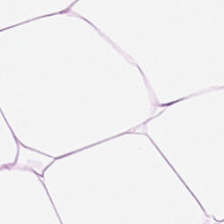Hematoxylin and eosin.
The predominant tissue is adipose.
